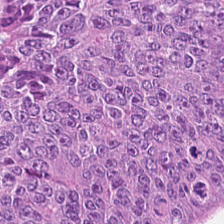Stain: H&E.
Predominant tissue: malignant epithelium.
